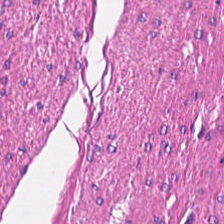H&E. {"tissue_type": "smooth-muscle tissue"}
